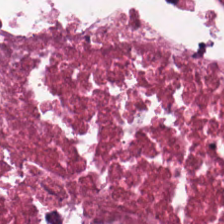The tissue class is cellular debris.
